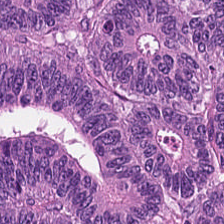H&E-stained tissue section. Tissue class = adenocarcinoma.
